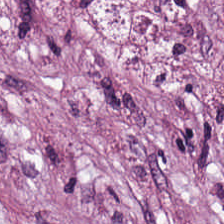H&E-stained tissue section · brightfield microscopy.
Predominant tissue = cancer-associated stroma.
